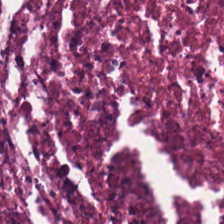WSI patch. H&E-stained tissue section.
Histology — debris.
